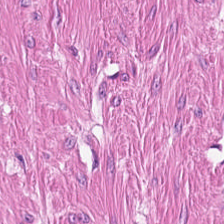Hematoxylin and eosin. 224×224 px patch — This patch shows smooth-muscle tissue.
